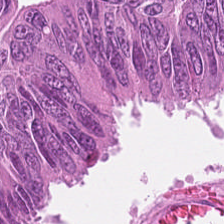FFPE · 0.5 µm/px · H&E stain.
The tissue class is tumor epithelium.
